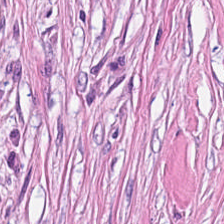H&E-stained tissue section · FFPE · 0.5 µm/px. Q: Classify this patch.
A: It is desmoplastic stroma.
